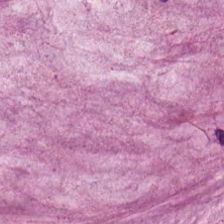H&E — The classification is mucin.
